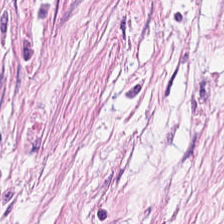224×224 px tile · hematoxylin and eosin · 0.5 microns per pixel. Impression → tumor-associated stroma.
